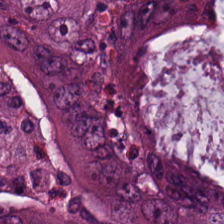20× equivalent magnification; hematoxylin-and-eosin stained section. The predominant tissue is adenocarcinoma.
